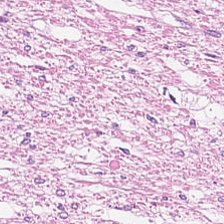H&E.
Q: Identify the tissue.
A: Smooth muscle.
